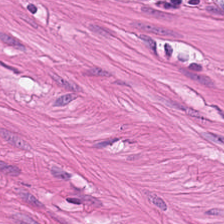Tissue type: muscularis.
